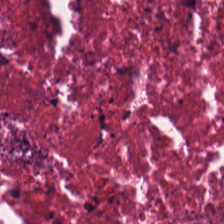Hematoxylin and eosin. {"tissue_type": "debris"}
